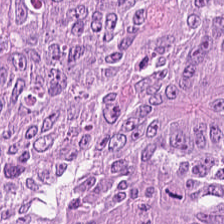H&E stain.
Showing colorectal adenocarcinoma.
